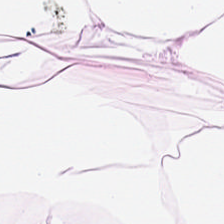Hematoxylin and eosin.
Adipose.
